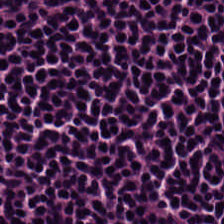20× equivalent magnification · H&E-stained tissue section — Finding — lymphocytic infiltrate.
